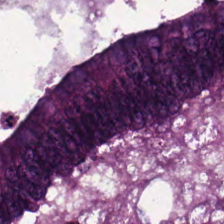Hematoxylin-and-eosin stained section; FFPE tissue section.
Classification = tumor epithelium.
